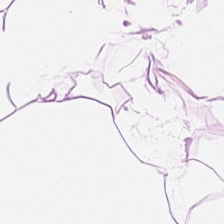Formalin-fixed paraffin-embedded section. Hematoxylin and eosin — Showing adipose tissue.
